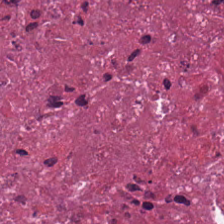Impression — necrotic debris.
